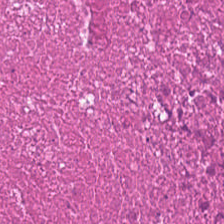Stain: H&E.
Acquisition: brightfield microscopy.
Tissue class: cellular debris.
